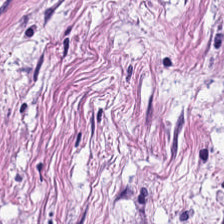Stain: hematoxylin-and-eosin stained section.
Classification: tumor-associated stroma.
